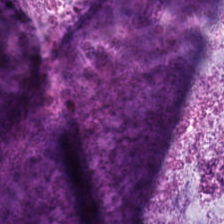224×224 px patch; 0.5 µm per pixel; H&E stain — The tissue class is mucus.
